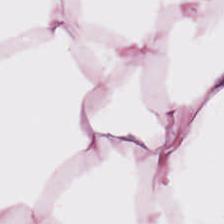H&E. 20× equivalent magnification. Predominant tissue = adipose tissue.
